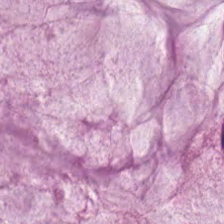Stain: H&E stain.
Tissue type: extracellular mucin.
